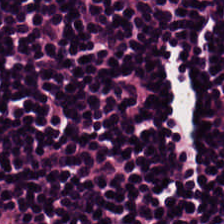Hematoxylin and eosin. 0.5 µm/px. Q: Classify this patch.
A: It is lymphocyte aggregate.
